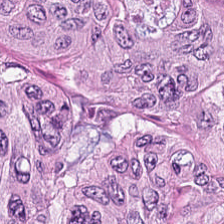20× equivalent magnification · hematoxylin-and-eosin stained section — The predominant tissue is adenocarcinoma.
